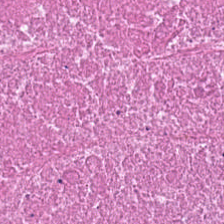Hematoxylin-and-eosin stained section; 224×224 px tile; brightfield.
Q: What tissue type is shown here?
A: It is cellular debris.
